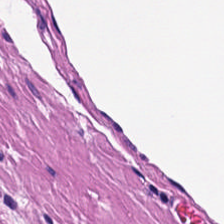Hematoxylin and eosin · 224×224 pixel tile.
Predominantly muscularis.
